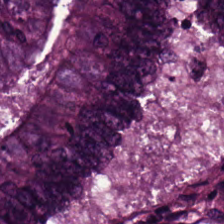Stain: H&E-stained tissue section.
Tissue type: malignant epithelium.
